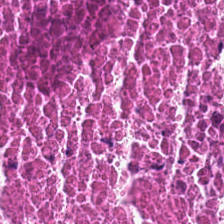Tissue type = debris.
